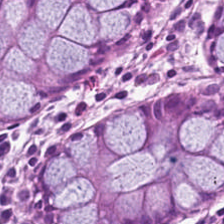Stain: H&E.
Tile size: 224×224 pixel tile.
Resolution: 0.5 microns per pixel.
Tissue class: benign colonic mucosa.
